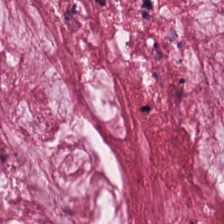H&E — Finding — mucus.
